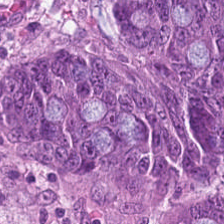Tissue = colorectal adenocarcinoma epithelium.
